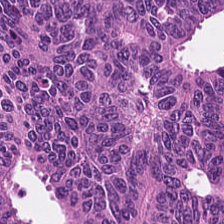The classification is malignant epithelium.
